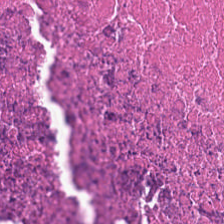Tissue: necrotic debris.
